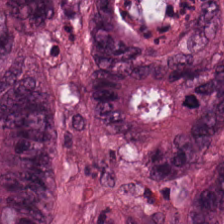Stain: H&E.
Tissue class: tumor epithelium.
